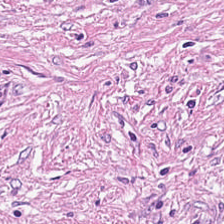H&E stain. 224×224 px tile — Q: What is shown here?
A: This is tumor-associated stroma.
